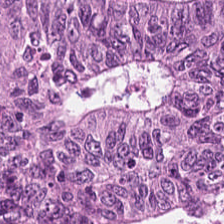H&E-stained section; the field shows malignant epithelium.
